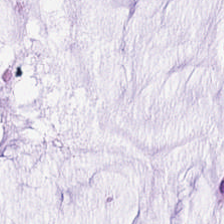20× equivalent magnification. Hematoxylin-and-eosin stained section. Formalin-fixed paraffin-embedded section — Histology → mucin.
